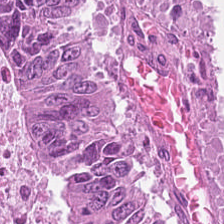0.5 microns per pixel; H&E-stained tissue section.
Finding → adenocarcinoma.
